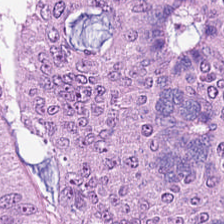H&E-stained tissue section.
This field is colorectal adenocarcinoma.
